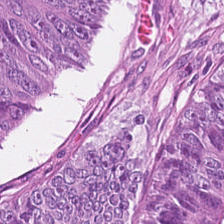0.5 µm/px; hematoxylin-and-eosin stained section; FFPE tissue section — Predominantly colorectal adenocarcinoma epithelium.
